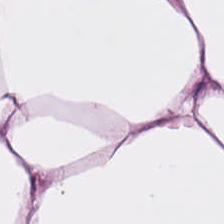224×224 px tile · FFPE · H&E-stained tissue section — This field is adipocytes.
